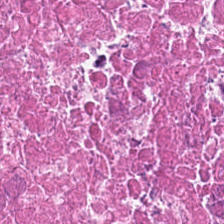Hematoxylin and eosin; 224×224 px patch.
Q: What is shown here?
A: This is necrotic debris.
